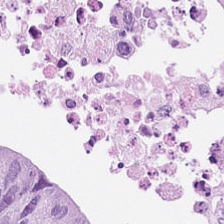Stain: H&E-stained tissue section.
Predominant tissue: colorectal adenocarcinoma epithelium.
